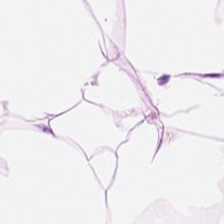H&E. The predominant tissue is adipose.
